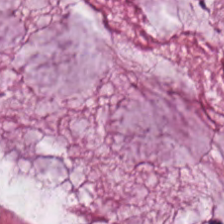Q: What is shown in this field?
A: Mucus.
